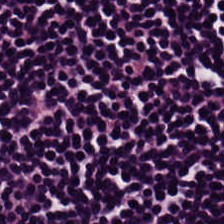H&E-stained tissue section; FFPE tissue section. Predominant tissue — lymphocytic infiltrate.
